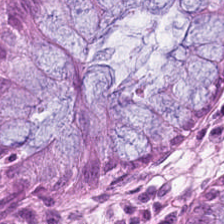Q: What is the predominant tissue type?
A: This is normal colonic mucosa.
